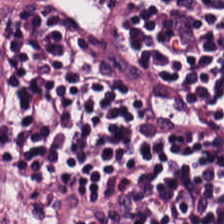H&E. Brightfield — Tissue type: lymphocytic infiltrate.
